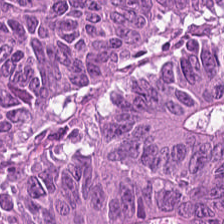H&E stain.
The predominant tissue is colorectal adenocarcinoma epithelium.
